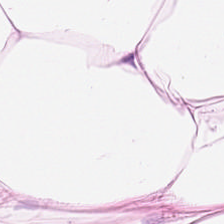{"tissue_type": "adipose"}
